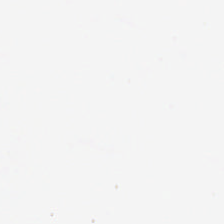H&E stain; 0.5 µm/px — Empty field — empty background.
